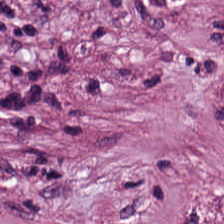Stain: hematoxylin and eosin.
Tissue: tumor-associated stroma.
